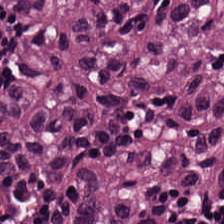This field is colorectal adenocarcinoma.
